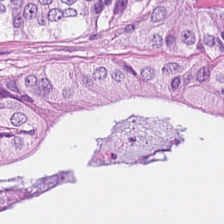Stain: H&E-stained tissue section.
Resolution: 0.5 microns per pixel.
Tissue type: colorectal adenocarcinoma epithelium.
